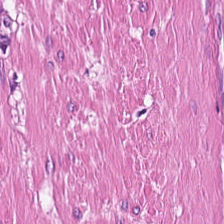Tissue class — smooth muscle.
